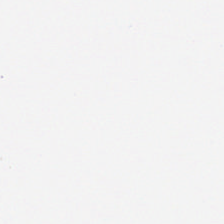0.5 µm/px. H&E stain. 224×224 px tile. Finding — background (no tissue).
